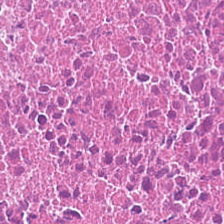Hematoxylin and eosin · 224×224 px patch.
Showing debris.
